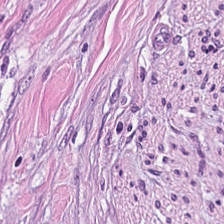Q: What type of tissue is this?
A: This is tumor stroma.
